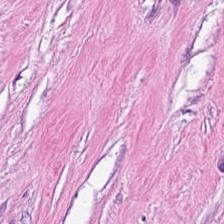H&E stain.
Predominant tissue = tumor-associated stroma.
